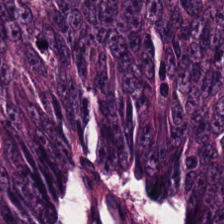H&E · 20× equivalent magnification · brightfield microscopy. The predominant tissue is colorectal adenocarcinoma.
